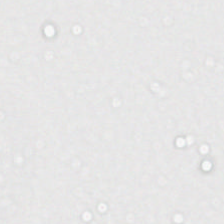Stain: hematoxylin-and-eosin stained section.
Classification: no tissue.
